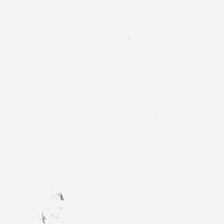Stain: hematoxylin-and-eosin stained section.
Resolution: 0.5 microns per pixel.
Classification: empty background.
